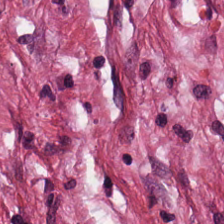H&E-stained tissue section — Predominant tissue — cancer-associated stroma.
